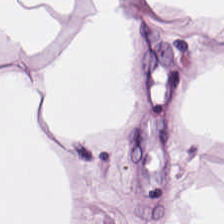H&E stain — Q: What tissue type is shown here?
A: The field shows fat tissue.
